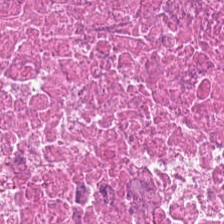H&E-stained tissue section — Impression — necrotic debris.
